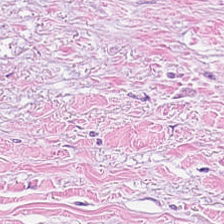H&E-stained tissue section. Q: What does this patch show?
A: Tumor-associated stroma.
